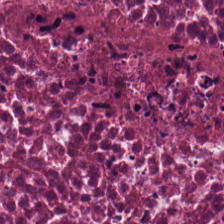Stain: H&E.
Preparation: formalin-fixed paraffin-embedded section.
Predominant tissue: debris.
